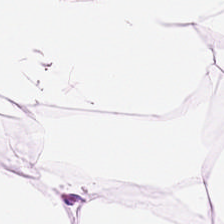Hematoxylin-and-eosin stained section.
{"tissue_type": "adipose"}
